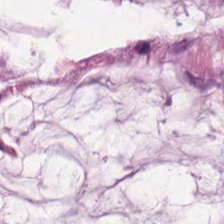Hematoxylin-and-eosin stained section · whole-slide-image patch — This patch shows extracellular mucin.
